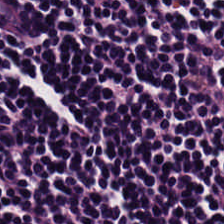0.5 µm per pixel. Formalin-fixed paraffin-embedded section. Hematoxylin and eosin — This patch shows lymphocytes.
